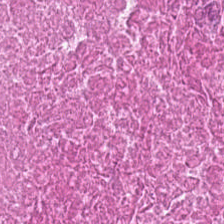Whole-slide-image patch · H&E. Q: What tissue type is shown here?
A: It is necrotic debris.
